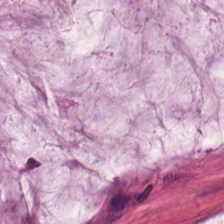Hematoxylin and eosin — This field is extracellular mucin.
